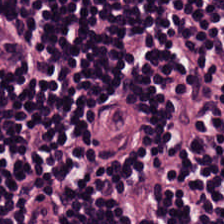Hematoxylin and eosin · FFPE tissue section — Showing lymphoid infiltrate.
